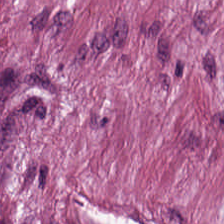Hematoxylin and eosin.
This patch shows cancer-associated stroma.
